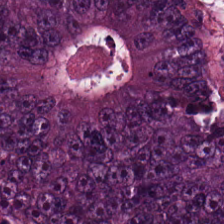The classification is colorectal adenocarcinoma epithelium.
